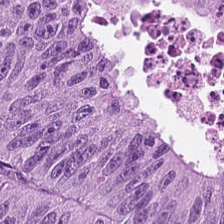FFPE tissue section; H&E stain — The predominant tissue is malignant epithelium.
